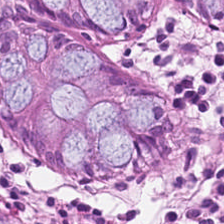H&E stain; 224×224 px patch — This field is benign colonic mucosa.
